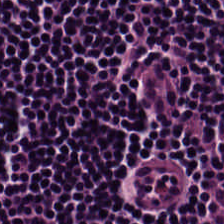Stain: H&E-stained tissue section.
Tissue: lymphoid infiltrate.
